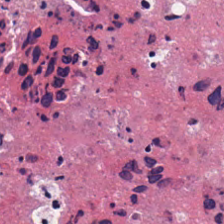{"tissue_type": "cellular debris"}
